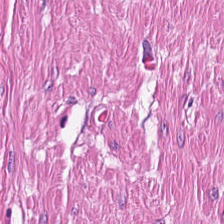H&E stain. Brightfield. 20× equivalent magnification — Showing muscularis.
